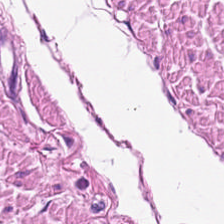0.5 µm/px; FFPE tissue section; hematoxylin-and-eosin stained section — This patch shows smooth-muscle tissue.
